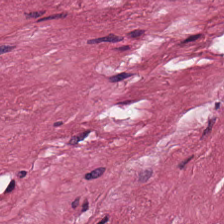H&E-stained tissue section · whole-slide-image patch.
This patch shows tumor stroma.
